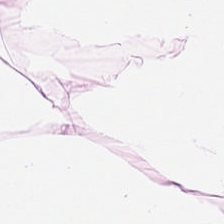H&E-stained tissue section; 224×224 px patch; formalin-fixed paraffin-embedded section — The predominant tissue is adipose.
